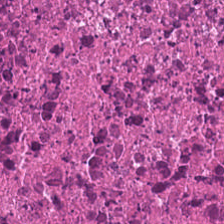Hematoxylin and eosin.
This field is debris.
